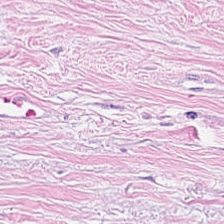224×224 px patch; FFPE tissue section; H&E-stained tissue section — Impression — tumor-associated stroma.
